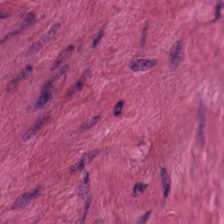Stain: hematoxylin-and-eosin stained section.
Tissue type: smooth-muscle tissue.
